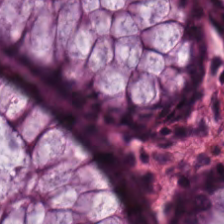Hematoxylin-and-eosin stained section. Brightfield microscopy — Tissue type: benign colonic mucosa.
